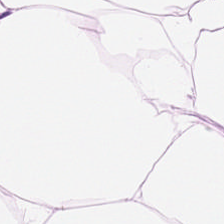H&E stain — This field is adipocytes.
